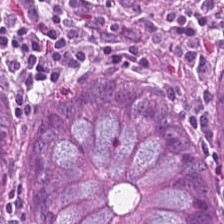Hematoxylin-and-eosin stained section. The tissue is benign colonic mucosa.
